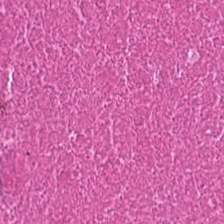H&E-stained tissue section · 0.5 µm/px — This field is debris.
